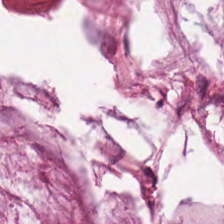This patch shows mucin.
